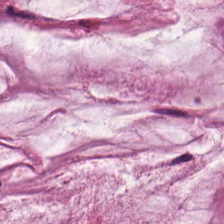Q: What tissue is shown?
A: This is mucin.
